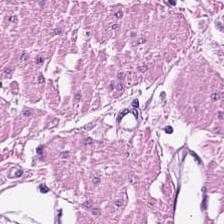Hematoxylin-and-eosin stained section.
This field is muscularis.
